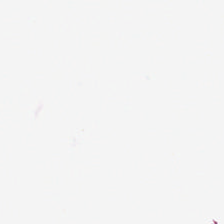Brightfield · hematoxylin-and-eosin stained section. Content — background (no tissue).
